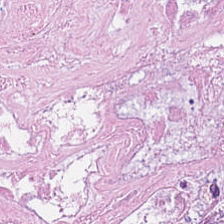Hematoxylin and eosin. Q: What tissue is shown?
A: The field shows debris.
